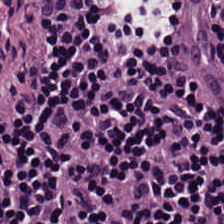H&E patch showing lymphoid infiltrate.
